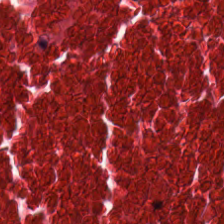Hematoxylin-and-eosin stained section · formalin-fixed paraffin-embedded section · 224×224 px tile — The tissue class is necrotic debris.
